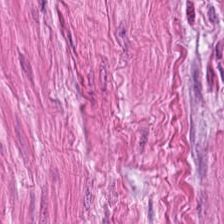Formalin-fixed paraffin-embedded section · hematoxylin and eosin · 0.5 µm per pixel — The tissue here is muscularis.
